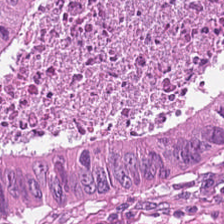Brightfield microscopy · H&E · FFPE.
Tissue class — colorectal adenocarcinoma epithelium.
